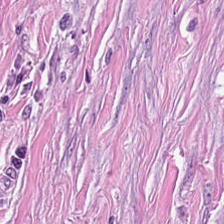H&E-stained section; the field shows desmoplastic stroma.
